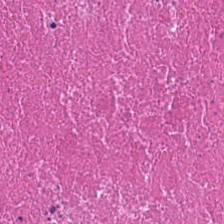Tissue type = cellular debris.
